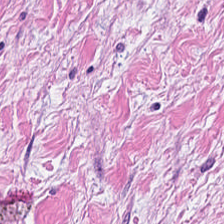Stain: hematoxylin and eosin.
Acquisition: WSI patch.
Tissue class: cancer-associated stroma.
